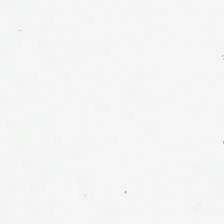Content — empty background.
